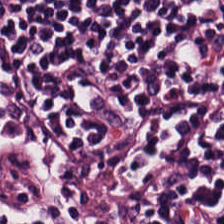H&E-stained tissue section.
This field is lymphocytic infiltrate.
